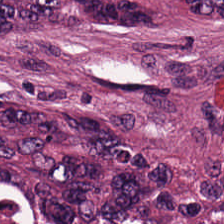Hematoxylin-and-eosin stained section · 0.5 µm/px · brightfield microscopy.
Finding — adenocarcinoma.
